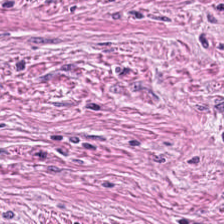Stain: hematoxylin and eosin.
Preparation: FFPE.
Tissue: desmoplastic stroma.
